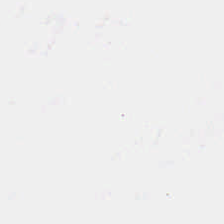H&E stain. Histology → empty background.
